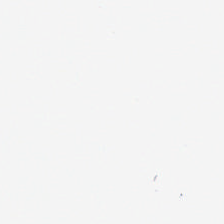Hematoxylin-and-eosin stained section.
The classification is background (no tissue).
